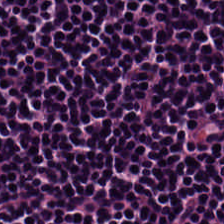{"tissue_type": "lymphocytic infiltrate"}
